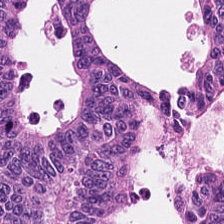224×224 pixel tile. H&E stain — Predominantly tumor epithelium.
